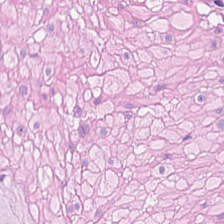The tissue type is muscularis.
